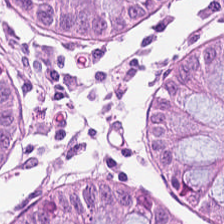Histology — normal colonic mucosa.
